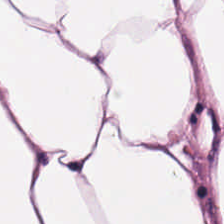H&E stain — Q: What is shown here?
A: The field shows fat tissue.
